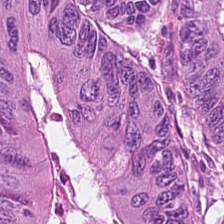Stain: hematoxylin-and-eosin stained section.
Acquisition: brightfield microscopy.
Predominant tissue: malignant epithelium.
